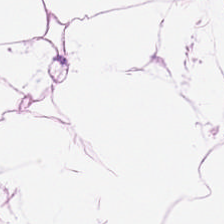H&E. Predominant tissue = adipose tissue.
